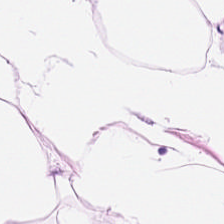Predominantly adipose tissue.
